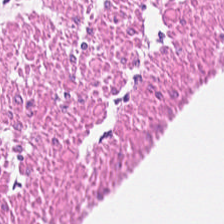Stain: H&E stain.
Tissue type: smooth-muscle tissue.
